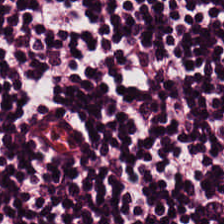H&E stain. Formalin-fixed paraffin-embedded section. Q: Classify this patch.
A: It is lymphoid infiltrate.
